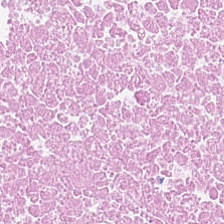H&E.
Showing cellular debris.
